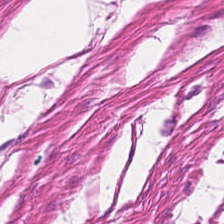H&E stain.
{"tissue_type": "smooth muscle"}
